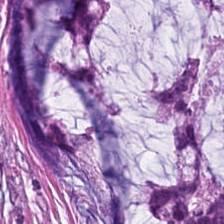Tissue type = mucin.
